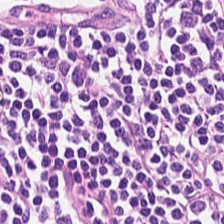Hematoxylin and eosin. Tissue class — lymphocyte aggregate.
